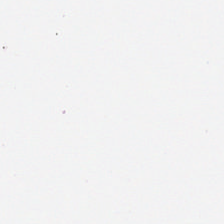Stain: H&E-stained tissue section.
Field content: empty background.
